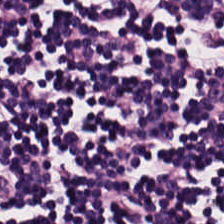Hematoxylin-and-eosin stained section.
Q: What is shown here?
A: This is lymphoid infiltrate.
